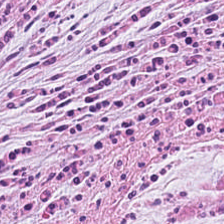FFPE tissue section. Hematoxylin-and-eosin stained section. 224×224 px tile.
Tumor-associated stroma.
